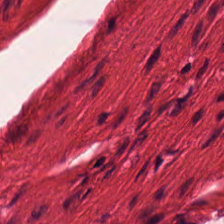H&E.
Q: Identify the tissue.
A: It is smooth-muscle tissue.
